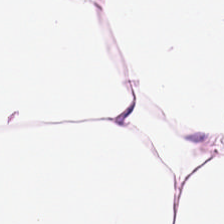H&E-stained tissue section; FFPE tissue section — This field is adipose.
